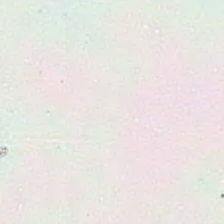Brightfield microscopy. H&E stain.
Empty field — no tissue.
